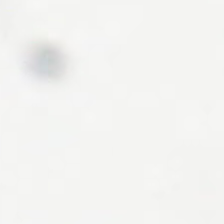0.5 microns per pixel · H&E stain. Content: no tissue.
